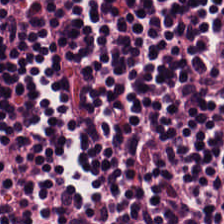224×224 px patch; hematoxylin-and-eosin stained section; WSI patch — Showing lymphocytic infiltrate.
